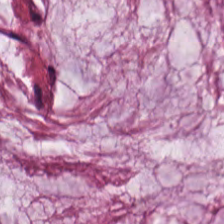The predominant tissue is mucus.
